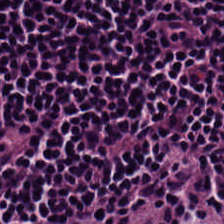Stain: H&E.
Tissue type: lymphoid infiltrate.
